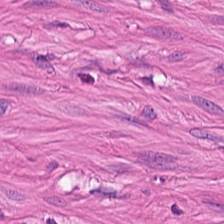H&E-stained tissue section. Tissue type: smooth muscle.
